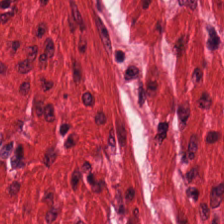H&E stain. 224×224 px patch.
Tissue type = smooth muscle.
